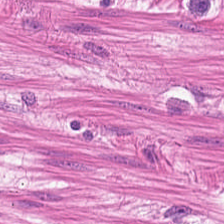Stain: hematoxylin-and-eosin stained section.
Predominant tissue: smooth muscle.
